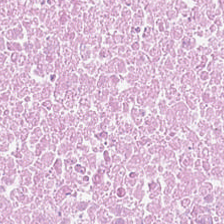Histology — necrotic debris.
